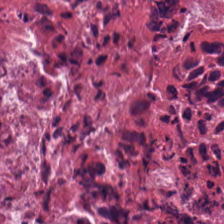Hematoxylin and eosin; 224×224 px patch. Predominantly cellular debris.
